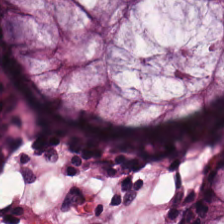Hematoxylin and eosin. 224×224 pixel tile. Formalin-fixed paraffin-embedded section — The predominant tissue is normal colon mucosa.
